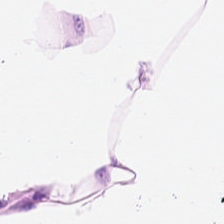Stain: H&E.
Tissue: adipose.
